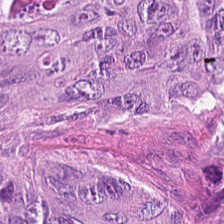Tissue type = tumor epithelium.
